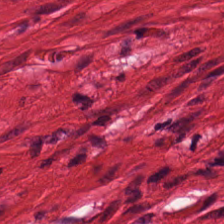20× equivalent magnification · H&E stain. {"tissue_type": "muscularis"}
